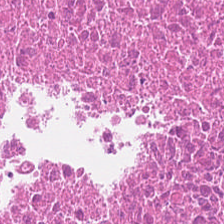H&E-stained tissue section. Q: What type of tissue is this?
A: The field shows debris.
